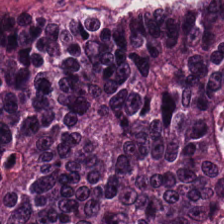Hematoxylin-and-eosin stained section — Predominant tissue = colorectal adenocarcinoma.
